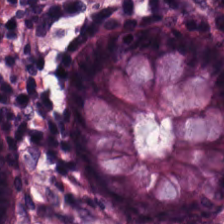20× equivalent magnification; hematoxylin-and-eosin stained section. Tissue type = non-neoplastic colon mucosa.
